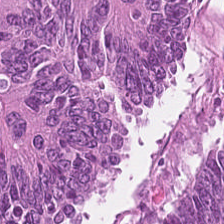H&E stain.
{"tissue_type": "malignant epithelium"}
